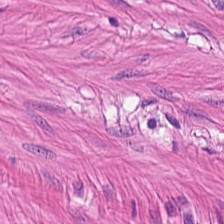H&E stain.
Smooth-muscle tissue.
